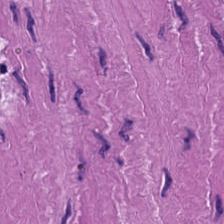H&E. Tissue class: smooth muscle.
